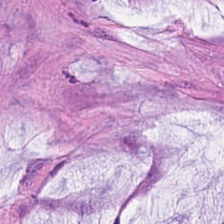{"tissue_type": "mucus"}
